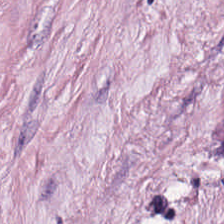FFPE; hematoxylin and eosin.
Q: What type of tissue is this?
A: The field shows desmoplastic stroma.
